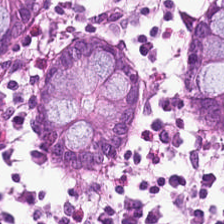Hematoxylin-and-eosin stained section. Predominantly non-neoplastic colon mucosa.
